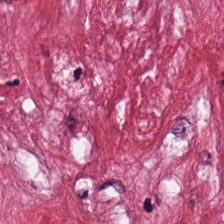Stain: H&E-stained tissue section.
Preparation: FFPE tissue section.
Tissue type: tumor stroma.
